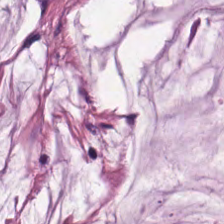Hematoxylin-and-eosin stained section. The predominant tissue is mucus.
